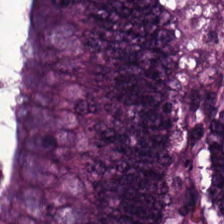FFPE tissue section. 0.5 µm/px. Hematoxylin and eosin — This field is tumor epithelium.
